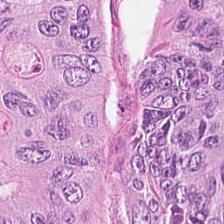Q: What type of tissue is this?
A: This is colorectal adenocarcinoma epithelium.
